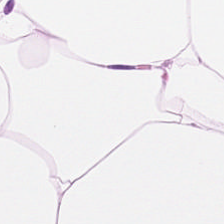H&E stain — Predominantly adipose tissue.
